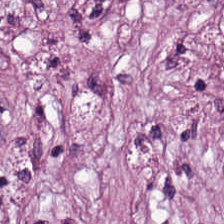H&E stain. 224×224 px patch.
Q: What tissue type is shown here?
A: The field shows cancer-associated stroma.
